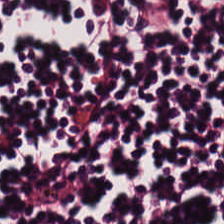Histology — lymphocytes.
